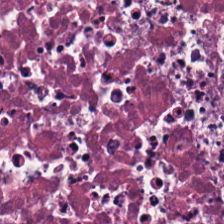WSI patch · 224×224 px patch · H&E. Q: What is shown here?
A: The field shows cellular debris.
